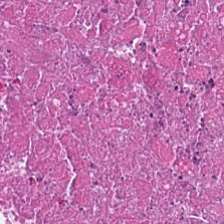Hematoxylin and eosin. Predominant tissue: debris.
